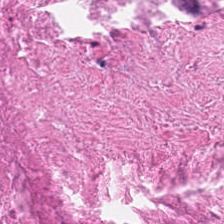Stain: H&E.
Tissue: necrotic debris.
